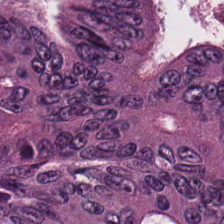224×224 px patch; 0.5 µm per pixel; hematoxylin-and-eosin stained section. Tissue class — colorectal adenocarcinoma.
